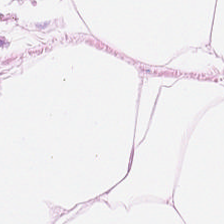Hematoxylin and eosin — The predominant tissue is adipose.
